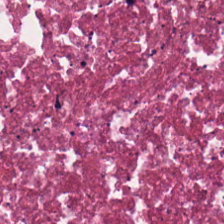Predominantly necrotic debris.
